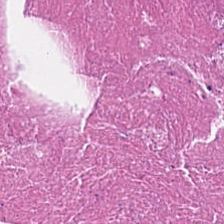Necrotic debris.
